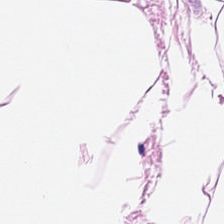Hematoxylin and eosin. Predominant tissue = fat tissue.
